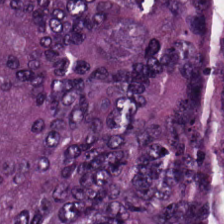Stain: hematoxylin and eosin.
Tissue type: tumor epithelium.
